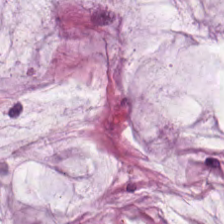The classification is mucus.
